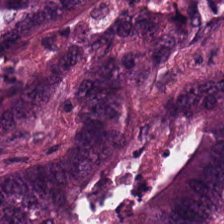Stain: H&E-stained tissue section.
Tissue: colorectal adenocarcinoma epithelium.
